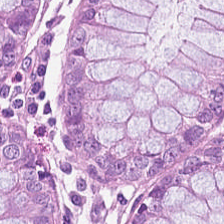Impression → normal colon mucosa.
